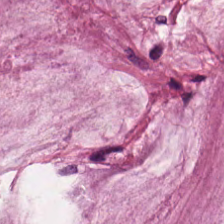FFPE tissue section; H&E stain; WSI patch.
This patch shows mucin.
